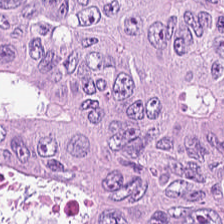Tissue — tumor epithelium.
